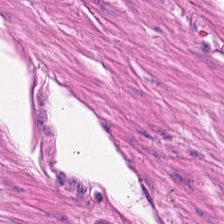H&E stain.
Tissue class = smooth muscle.
